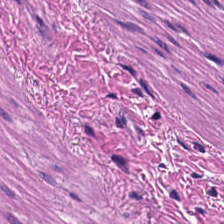Hematoxylin and eosin. Predominantly smooth muscle.
